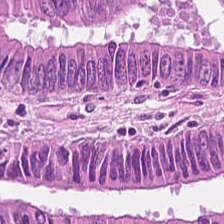Hematoxylin-and-eosin stained section; 224×224 px patch. Predominant tissue = malignant epithelium.
